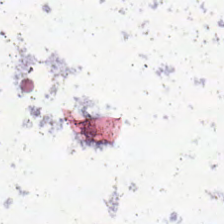0.5 µm per pixel · H&E-stained tissue section.
Background — no tissue in this field.
